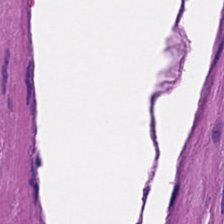0.5 µm per pixel; 224×224 pixel tile; hematoxylin-and-eosin stained section.
Q: What is shown here?
A: It is smooth-muscle tissue.
